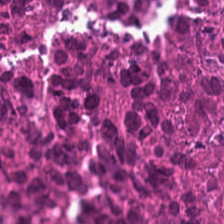224×224 pixel tile. H&E-stained tissue section — Showing debris.
